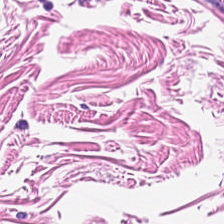Finding → muscularis.
